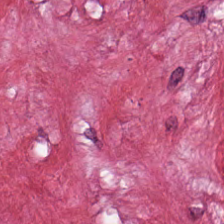224×224 px tile; H&E-stained tissue section; FFPE. Tissue class = tumor-associated stroma.
